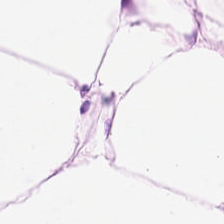H&E stain — Tissue: adipose.
